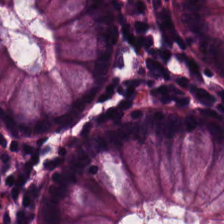Brightfield microscopy; H&E-stained tissue section. Showing benign colonic mucosa.
